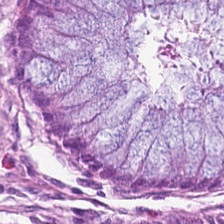The tissue class is normal colonic mucosa.
